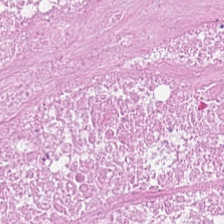H&E. Tissue class: necrotic debris.
